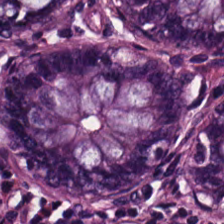Q: What is shown in this field?
A: Normal colon mucosa.
